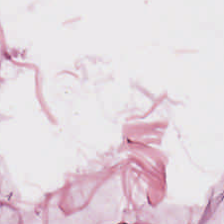H&E. Showing adipose tissue.
